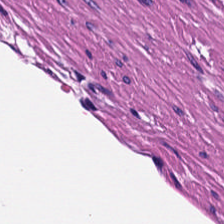H&E · 224×224 px patch — Q: What type of tissue is this?
A: Smooth muscle.
